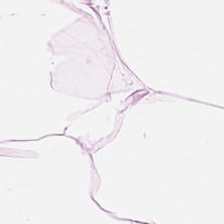H&E stain. Showing fat tissue.
